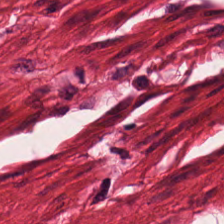H&E — Q: What is shown in this field?
A: It is muscularis.
